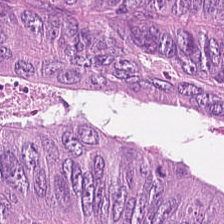H&E. The predominant tissue is malignant epithelium.
